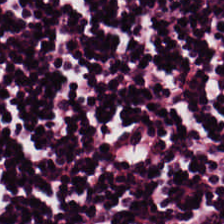Hematoxylin and eosin; brightfield — Predominantly lymphoid infiltrate.
